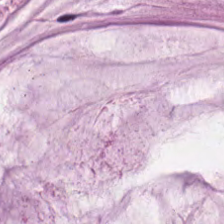Tissue type: mucus.
